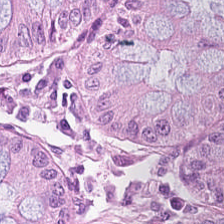Stain: hematoxylin and eosin.
Classification: normal colonic mucosa.
